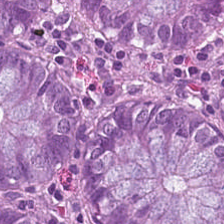H&E stain.
The tissue here is benign colonic mucosa.
